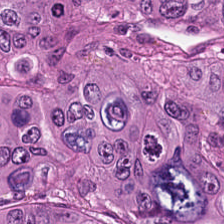Q: What tissue is shown?
A: It is tumor epithelium.
